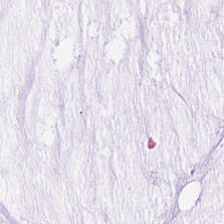Hematoxylin-and-eosin stained section; 0.5 µm per pixel.
Q: What tissue type is shown here?
A: This is extracellular mucin.
